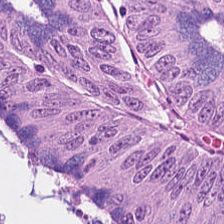H&E-stained tissue section. FFPE tissue section. {"tissue_type": "malignant epithelium"}
